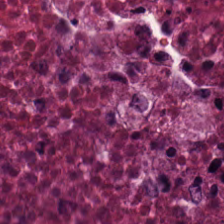Debris.
